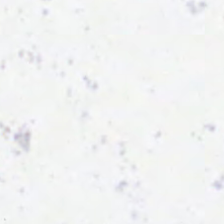Hematoxylin and eosin. Background — no tissue in this field.
